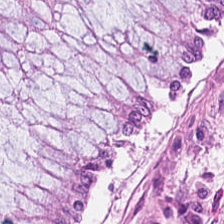Brightfield. Formalin-fixed paraffin-embedded section. Hematoxylin and eosin.
The predominant tissue is non-neoplastic colon mucosa.
